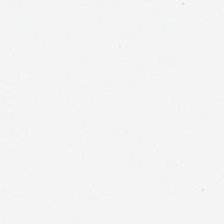Empty field — background.
